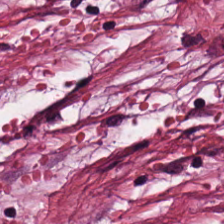H&E stain; formalin-fixed paraffin-embedded section.
The predominant tissue is desmoplastic stroma.
